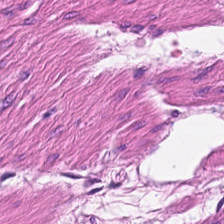H&E stain · FFPE tissue section.
{"tissue_type": "smooth muscle"}
